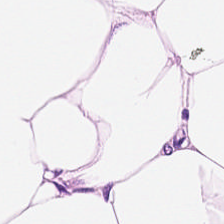20× equivalent magnification; H&E; 224×224 px tile.
{"tissue_type": "adipose"}
